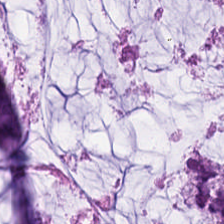H&E stain. Q: What is the predominant tissue type?
A: It is mucus.
